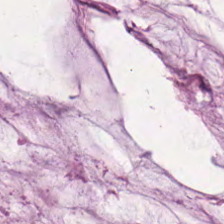Formalin-fixed paraffin-embedded section. H&E-stained tissue section.
The predominant tissue is extracellular mucin.
